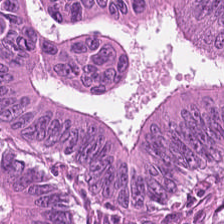H&E stain — Predominantly tumor epithelium.
